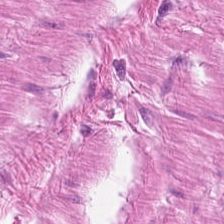The predominant tissue is smooth-muscle tissue.
